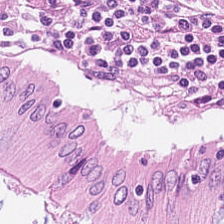Q: What is the predominant tissue type?
A: Benign colonic mucosa.
